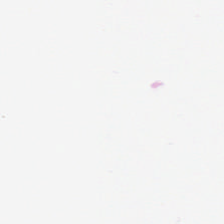{"content": "no tissue"}
